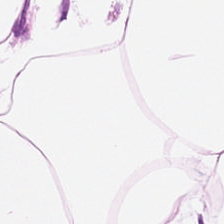Tissue type — fat tissue.
